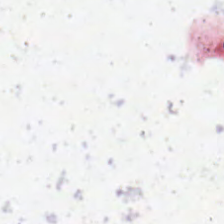Hematoxylin and eosin.
Field content = no tissue.
